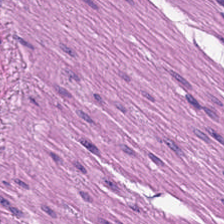Brightfield microscopy · H&E. Q: Identify the tissue.
A: This is smooth muscle.
